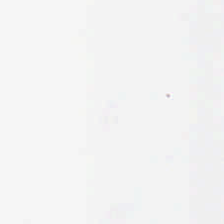Stain: H&E stain.
Content: empty background.
